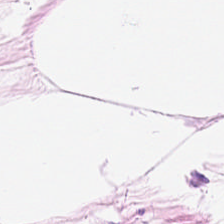Hematoxylin-and-eosin stained section. Q: What type of tissue is this?
A: The field shows adipose tissue.
